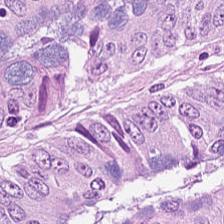H&E — Tissue class = malignant epithelium.
